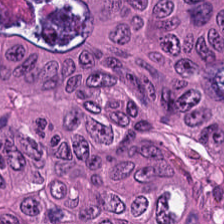The tissue here is colorectal adenocarcinoma.
